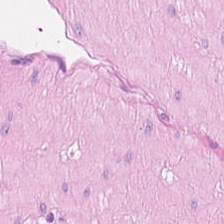Hematoxylin and eosin.
The predominant tissue is muscularis.
